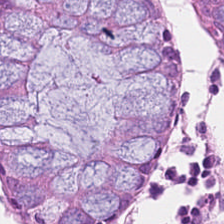Non-neoplastic colon mucosa.
